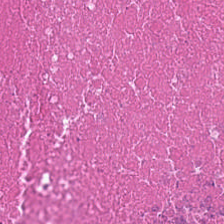Hematoxylin-and-eosin stained section. Q: What is shown in this field?
A: Necrotic debris.
